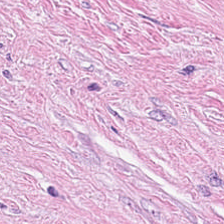H&E-stained tissue section. Brightfield microscopy — Predominantly cancer-associated stroma.
